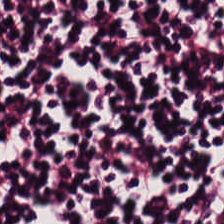Q: Classify this patch.
A: Lymphocytes.
